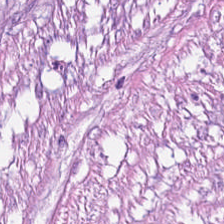Q: Identify the tissue.
A: This is tumor stroma.
